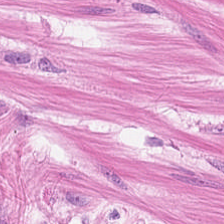0.5 µm per pixel. Hematoxylin and eosin. This field is muscularis.
